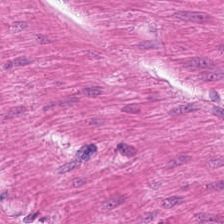Stain: H&E.
Acquisition: whole-slide-image patch.
Classification: muscularis.
